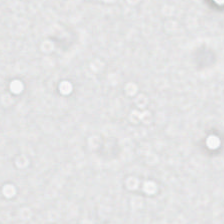Hematoxylin and eosin. No tissue.
